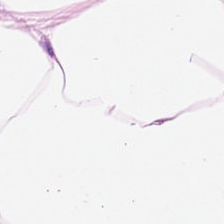H&E stain — Tissue = adipocytes.
